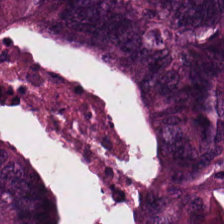0.5 microns per pixel · FFPE · H&E — Predominant tissue: malignant epithelium.
